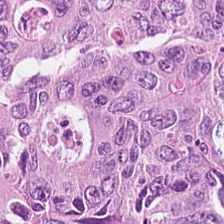Tissue: adenocarcinoma.
